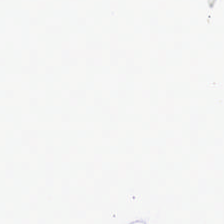0.5 µm/px · hematoxylin-and-eosin stained section · brightfield microscopy — This field is background (no tissue).
